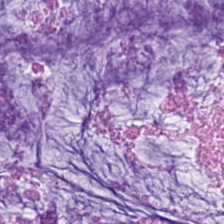Hematoxylin-and-eosin stained section.
Classification — extracellular mucin.
